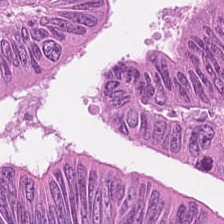Hematoxylin-and-eosin stained section.
Showing adenocarcinoma.
